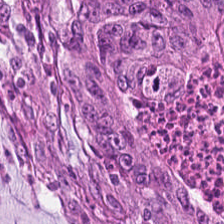Hematoxylin-and-eosin stained section. The predominant tissue is colorectal adenocarcinoma epithelium.
